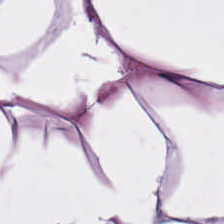Stain: hematoxylin-and-eosin stained section.
Tile size: 224×224 px tile.
Classification: adipose.
